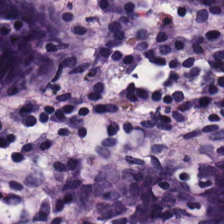H&E-stained tissue section; 0.5 µm/px; formalin-fixed paraffin-embedded section.
Tissue type: normal colonic mucosa.
